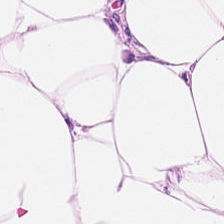H&E-stained tissue section — Predominantly adipocytes.
